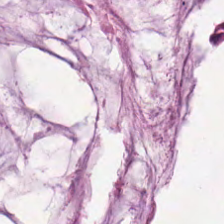H&E. Q: What is shown here?
A: It is extracellular mucin.
